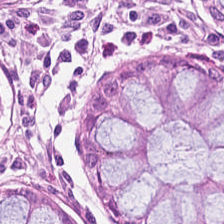0.5 µm/px. Hematoxylin-and-eosin stained section — Showing normal colon mucosa.
